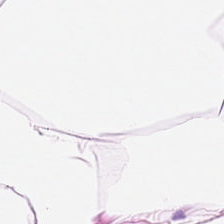The tissue is adipose.
